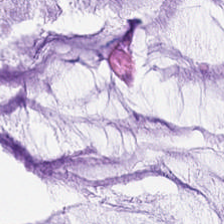H&E-stained tissue section.
This field is mucus.
